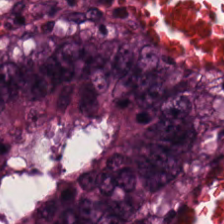224×224 pixel tile. H&E-stained tissue section. The predominant tissue is colorectal adenocarcinoma epithelium.
